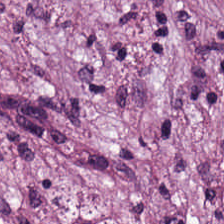H&E stain — Tissue = desmoplastic stroma.
